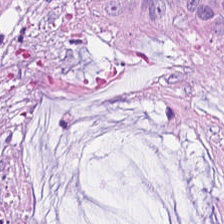Finding → mucus.
